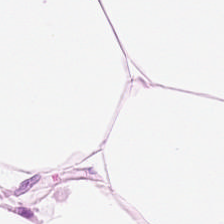Stain: H&E stain.
Predominant tissue: adipose.
